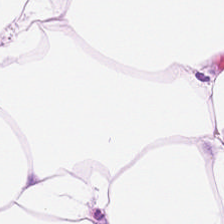Hematoxylin-and-eosin stained section — Classification = adipose.
